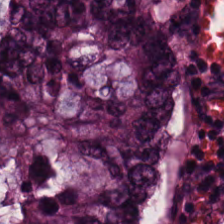H&E — Predominant tissue: colorectal adenocarcinoma epithelium.
